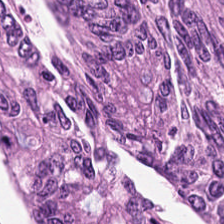Hematoxylin and eosin.
Q: What does this patch show?
A: This is adenocarcinoma.
